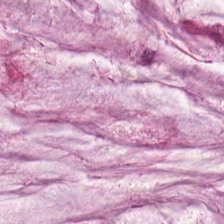Brightfield microscopy · hematoxylin and eosin · FFPE tissue section. Q: What does this patch show?
A: This is mucin.
